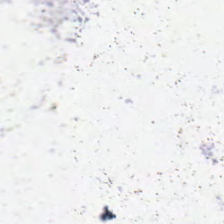Whole-slide-image patch · 224×224 px tile · H&E. Q: What is shown in this field?
A: Background.
